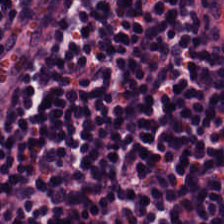H&E-stained tissue section.
Showing lymphocytes.
